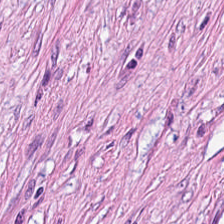Hematoxylin-and-eosin stained section · 0.5 µm/px — The tissue here is tumor stroma.
